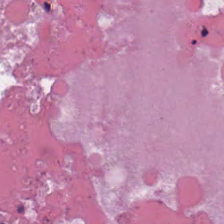H&E — Predominantly necrotic debris.
